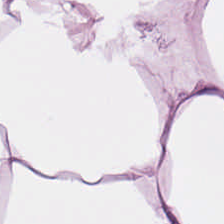224×224 px patch; H&E stain.
This patch shows adipocytes.
